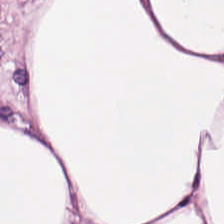Hematoxylin-and-eosin stained section.
Tissue class = fat tissue.
